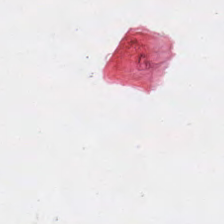The field content is empty background.
